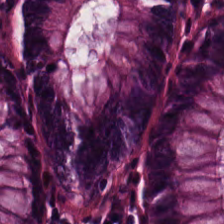Hematoxylin and eosin. Whole-slide-image patch. Predominantly normal colon mucosa.
